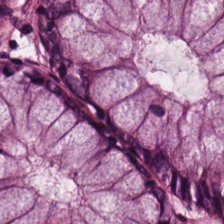H&E-stained tissue section.
Tissue class — non-neoplastic colon mucosa.
